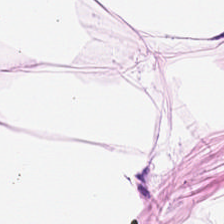Stain: hematoxylin-and-eosin stained section.
Tissue class: adipocytes.
